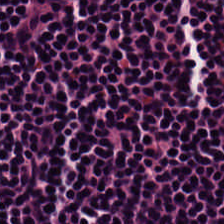H&E — The predominant tissue is lymphocyte aggregate.
